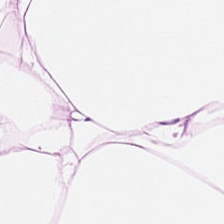Hematoxylin and eosin.
This patch shows adipose tissue.
